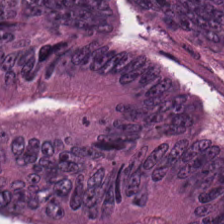H&E stain — Colorectal adenocarcinoma epithelium.
